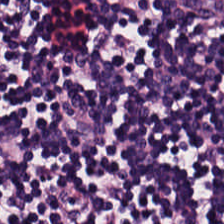The predominant tissue is lymphocytic infiltrate.
